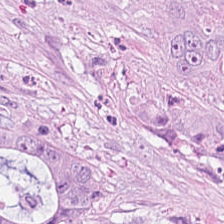H&E-stained tissue section. Impression — adenocarcinoma.
